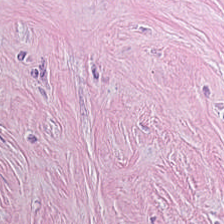H&E stain. Tumor stroma.
